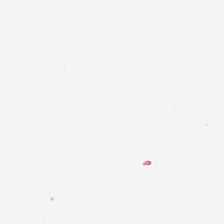The content is empty background.
